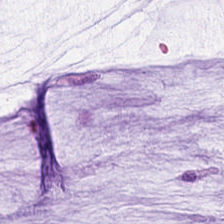Brightfield microscopy. FFPE. H&E-stained tissue section.
Showing mucus.
